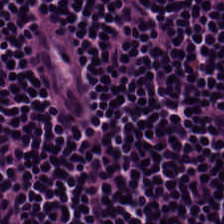The tissue is lymphoid infiltrate.
